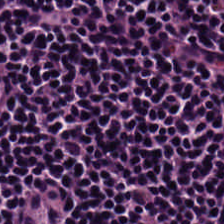FFPE tissue section. H&E — The tissue is lymphocytic infiltrate.
